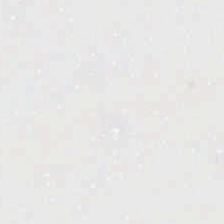H&E stain. {"content": "background"}
